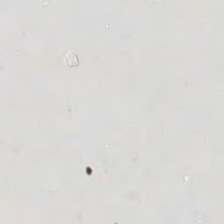Brightfield microscopy · hematoxylin-and-eosin stained section. Background — no tissue in this field.
